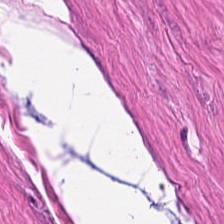Stain: H&E-stained tissue section.
Acquisition: whole-slide-image patch.
Predominant tissue: muscularis.
